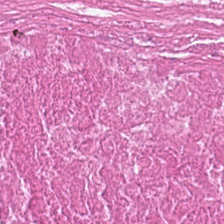WSI patch. Hematoxylin and eosin. 20× equivalent magnification. Cellular debris.
